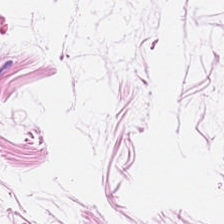H&E-stained section; the field shows fat tissue.
